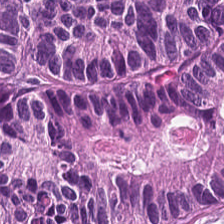H&E-stained tissue section. 224×224 px patch. FFPE tissue section.
Q: Classify this patch.
A: The field shows tumor epithelium.
